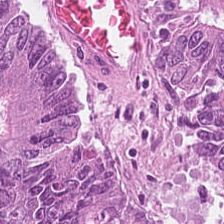H&E-stained tissue section — This patch shows tumor epithelium.
